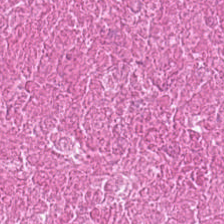Stain: hematoxylin-and-eosin stained section.
Classification: debris.
